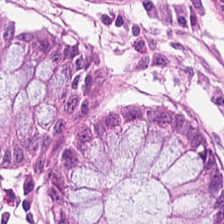Hematoxylin and eosin.
Benign colonic mucosa.
